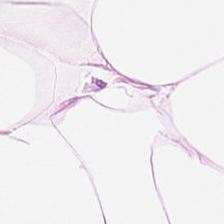Brightfield microscopy; H&E; 0.5 µm/px. The predominant tissue is adipose.
